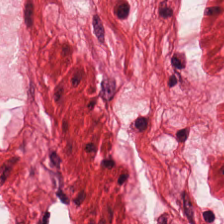Hematoxylin and eosin. 0.5 µm per pixel. WSI patch. This patch shows smooth-muscle tissue.
